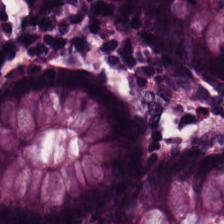H&E · FFPE. Q: What tissue is shown?
A: This is non-neoplastic colon mucosa.
